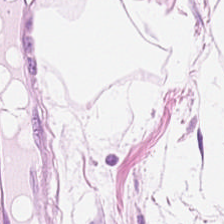Hematoxylin-and-eosin stained section — Predominantly adipose tissue.
